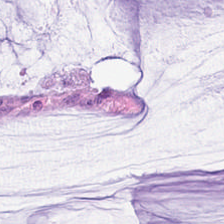H&E — mucin.
